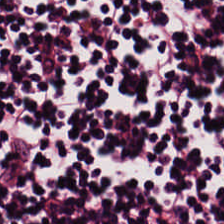H&E stain — Histology — lymphoid infiltrate.
